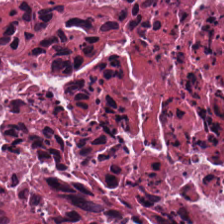Hematoxylin and eosin.
Predominant tissue = cellular debris.
